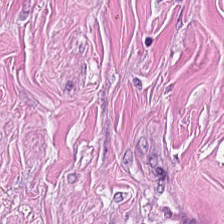H&E. 224×224 px tile. 0.5 microns per pixel. The predominant tissue is cancer-associated stroma.
